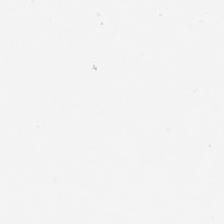{"content": "no tissue"}
